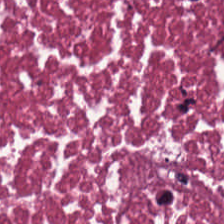FFPE; H&E stain; brightfield — The predominant tissue is cellular debris.
